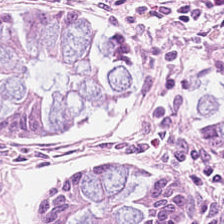Whole-slide-image patch. H&E stain. Predominantly non-neoplastic colon mucosa.
